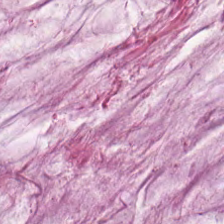224×224 px patch. Formalin-fixed paraffin-embedded section. H&E-stained tissue section.
Tissue type — mucin.
